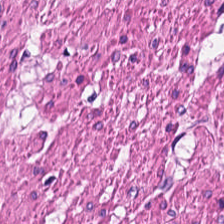Stain: H&E.
Tissue: muscularis.
